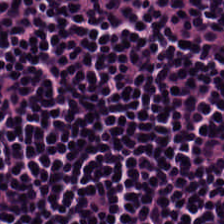H&E · 20× equivalent magnification. Tissue: lymphoid infiltrate.
